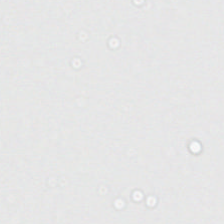Background — no tissue in this field.
